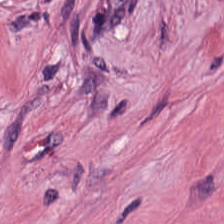Stain: hematoxylin-and-eosin stained section.
Tissue class: tumor stroma.
